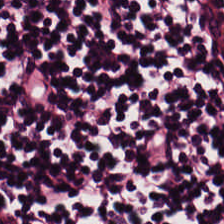Stain: H&E-stained tissue section.
Tissue type: lymphocytic infiltrate.
